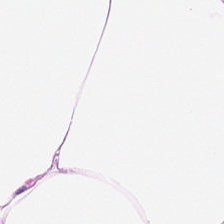Hematoxylin and eosin — This patch shows fat tissue.
